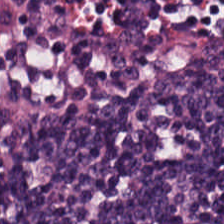H&E stain. 0.5 µm per pixel — {"tissue_type": "lymphoid infiltrate"}
